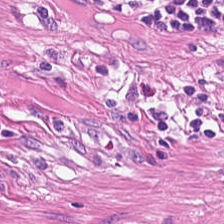Hematoxylin and eosin · 20× equivalent magnification. Predominantly smooth-muscle tissue.
